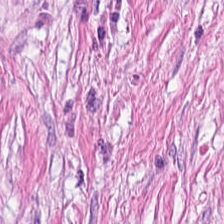Stain: H&E-stained tissue section.
Acquisition: whole-slide-image patch.
Tissue: cancer-associated stroma.
